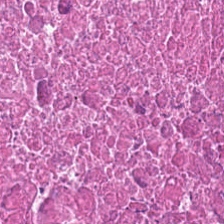0.5 microns per pixel. H&E.
The tissue class is debris.
